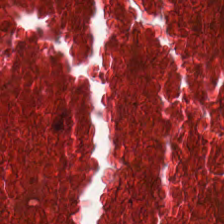WSI patch. H&E-stained tissue section.
The tissue here is cellular debris.
